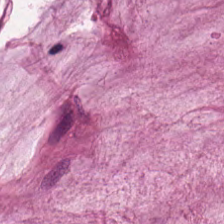H&E stain.
{"tissue_type": "extracellular mucin"}
